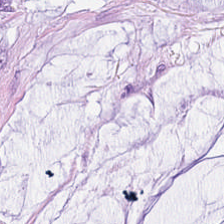Tissue type — extracellular mucin.
